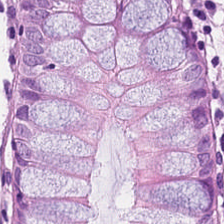Hematoxylin and eosin · 224×224 px patch. The tissue is normal colon mucosa.
